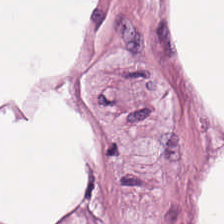H&E-stained tissue section · whole-slide-image patch · 224×224 px patch — Adipose.
